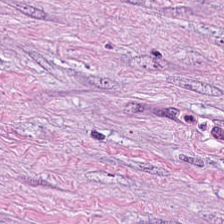This patch shows desmoplastic stroma.
